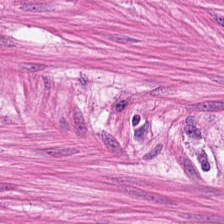Stain: H&E-stained tissue section.
Classification: muscularis.
